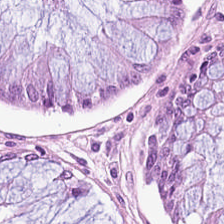H&E-stained tissue section · FFPE tissue section — Tissue type: non-neoplastic colon mucosa.
